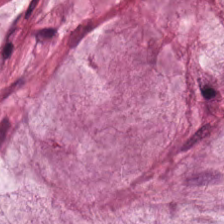Q: Identify the tissue.
A: This is mucus.
